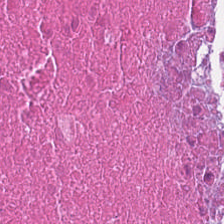H&E — The classification is cellular debris.
